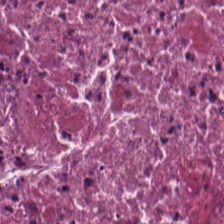WSI patch · H&E stain · 0.5 µm/px. {"tissue_type": "debris"}
